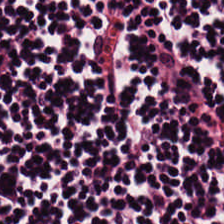H&E.
Lymphocytes.
